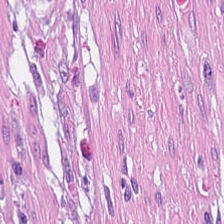Hematoxylin-and-eosin stained section.
Showing desmoplastic stroma.
